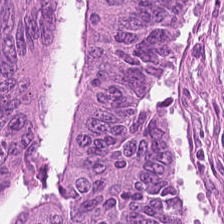20× equivalent magnification; H&E stain; formalin-fixed paraffin-embedded section. Colorectal adenocarcinoma.
